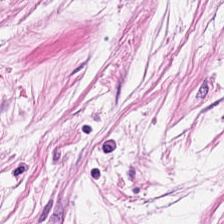Predominantly desmoplastic stroma.
